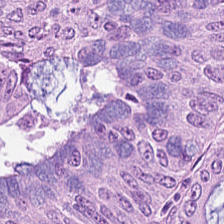H&E-stained tissue section — Q: What type of tissue is this?
A: It is malignant epithelium.
